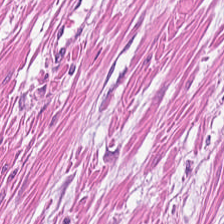The tissue class is smooth muscle.
